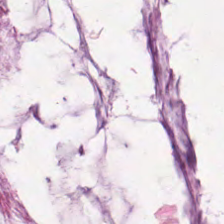Hematoxylin and eosin; formalin-fixed paraffin-embedded section. Tissue class = mucus.
